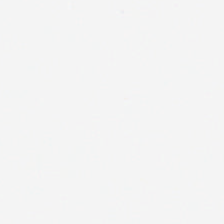Formalin-fixed paraffin-embedded section. H&E-stained tissue section. 224×224 px tile — {"content": "no tissue"}
